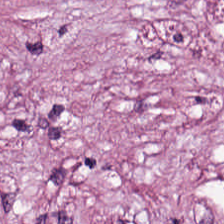Hematoxylin and eosin — The predominant tissue is tumor stroma.
